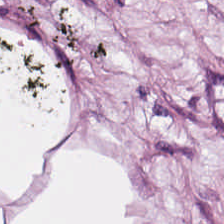H&E-stained tissue section. 224×224 px patch — This field is adipose.
